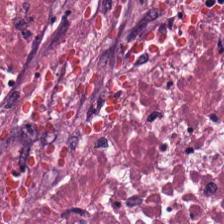Histology — necrotic debris.
